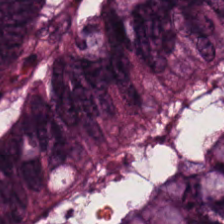H&E-stained tissue section.
Q: What tissue type is shown here?
A: This is colorectal adenocarcinoma.
